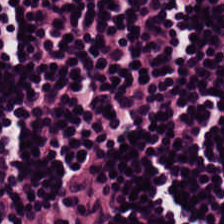Hematoxylin and eosin. 20× equivalent magnification — Tissue type = lymphocytes.
